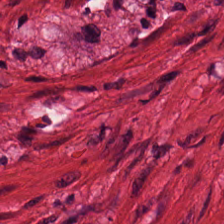H&E. Tissue type = smooth muscle.
